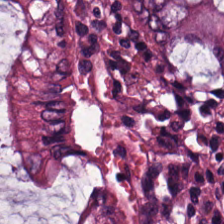Stain: hematoxylin and eosin.
Preparation: formalin-fixed paraffin-embedded section.
Tissue: normal colonic mucosa.
